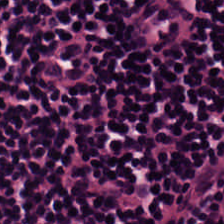The tissue is lymphoid infiltrate.
